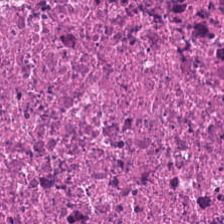224×224 pixel tile · H&E-stained tissue section. Necrotic debris.
